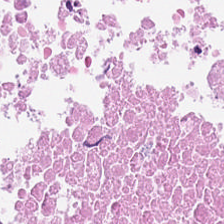0.5 µm per pixel; hematoxylin-and-eosin stained section; 224×224 pixel tile. This field is debris.
